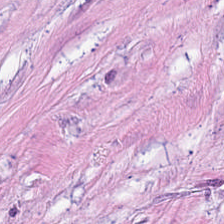H&E stain.
This field is cancer-associated stroma.
